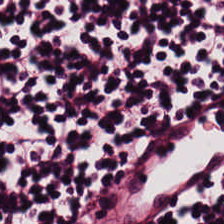Hematoxylin-and-eosin stained section. Formalin-fixed paraffin-embedded section — Q: What is the predominant tissue type?
A: Lymphoid infiltrate.
